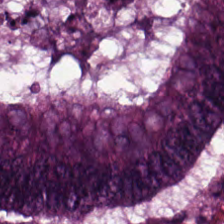Showing tumor epithelium.
